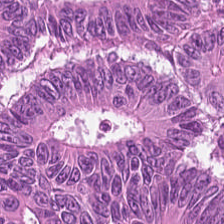H&E-stained tissue section; whole-slide-image patch — This patch shows tumor epithelium.
